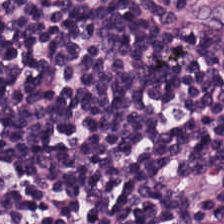The predominant tissue is lymphocytes.
